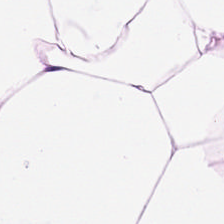224×224 px tile. WSI patch. Hematoxylin and eosin. Histology → adipose tissue.
